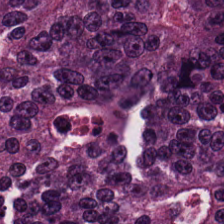H&E stain. Tissue type = colorectal adenocarcinoma epithelium.
